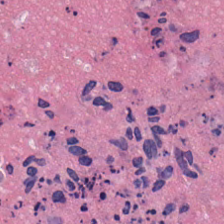Q: What tissue is shown?
A: Necrotic debris.
